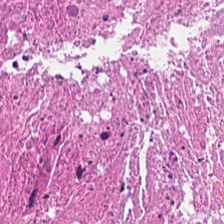Impression → debris.
